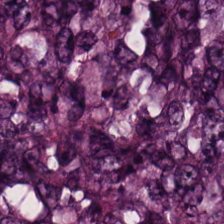Impression → colorectal adenocarcinoma.
